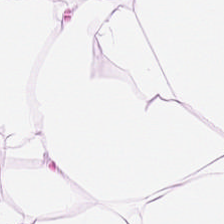Brightfield · H&E stain — Predominant tissue = adipose tissue.
